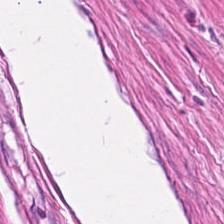H&E.
Classification = muscularis.
